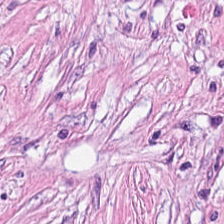H&E stain · 20× equivalent magnification.
Tissue class = tumor stroma.
